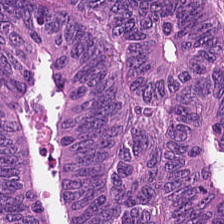The predominant tissue is malignant epithelium.
